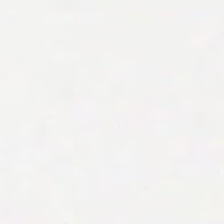The classification is no tissue.
